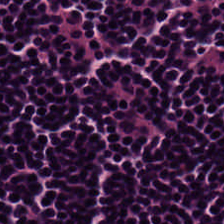Stain: hematoxylin and eosin.
Preparation: FFPE.
Tissue class: lymphoid infiltrate.
